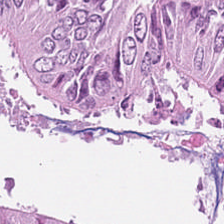H&E — Q: What is shown here?
A: It is colorectal adenocarcinoma epithelium.
